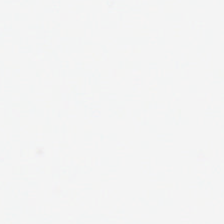Brightfield microscopy; hematoxylin and eosin — This field is background (no tissue).
